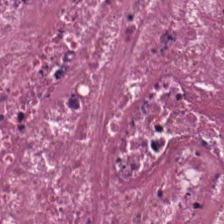{"tissue_type": "necrotic debris"}
